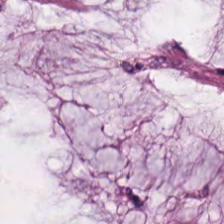H&E — extracellular mucin.
